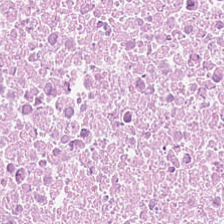20× equivalent magnification. H&E — Tissue = necrotic debris.
